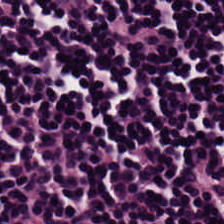H&E stain · formalin-fixed paraffin-embedded section — The predominant tissue is lymphocytic infiltrate.
